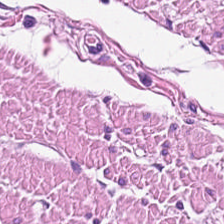Stain: H&E stain.
Tissue type: smooth-muscle tissue.
